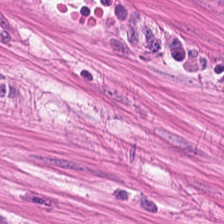Stain: H&E stain.
Acquisition: brightfield microscopy.
Tissue: muscularis.
